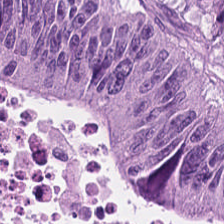224×224 px tile · WSI patch · H&E stain.
Q: What is shown in this field?
A: The field shows tumor epithelium.
